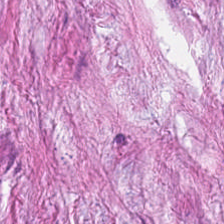FFPE. H&E. Brightfield. The tissue here is tumor stroma.
